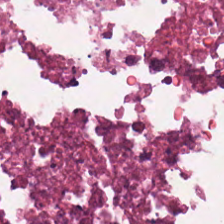Stain: H&E stain.
Tile size: 224×224 px tile.
Resolution: 0.5 microns per pixel.
Tissue type: cellular debris.
